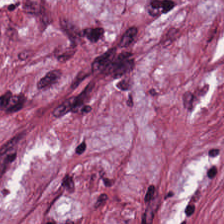H&E-stained tissue section; 20× equivalent magnification; WSI patch.
Tissue type = tumor-associated stroma.
